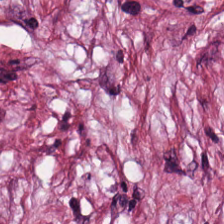Stain: H&E stain.
Tissue: desmoplastic stroma.
